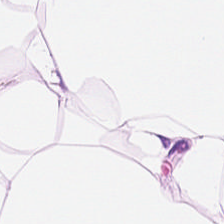This patch shows fat tissue.
